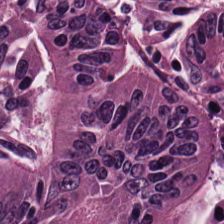224×224 px patch; H&E stain. Predominant tissue: malignant epithelium.
